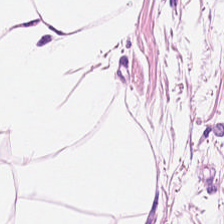224×224 px patch. H&E.
The predominant tissue is adipocytes.
